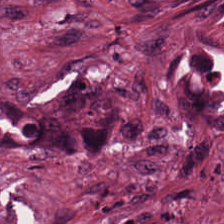H&E. The classification is tumor-associated stroma.
